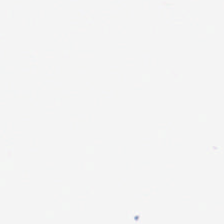H&E stain. 224×224 pixel tile. Whole-slide-image patch. No tissue present; background only.
